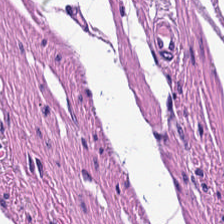{"tissue_type": "smooth-muscle tissue"}
